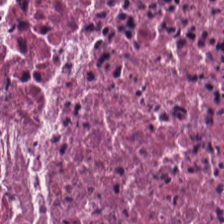Stain: H&E-stained tissue section.
Tissue class: cellular debris.
